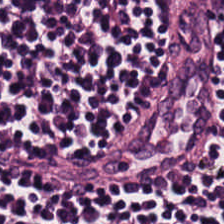224×224 px patch. Hematoxylin-and-eosin stained section. FFPE tissue section. Tissue: lymphocytes.
